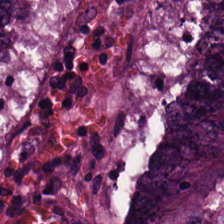H&E-stained tissue section — This patch shows adenocarcinoma.
